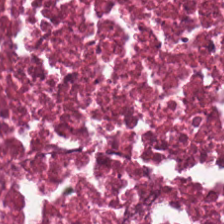0.5 microns per pixel · hematoxylin and eosin · 224×224 px patch. Predominantly necrotic debris.
